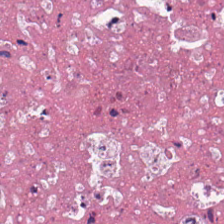Q: What is shown in this field?
A: This is cellular debris.
